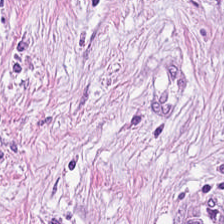Whole-slide-image patch. Formalin-fixed paraffin-embedded section. H&E-stained tissue section — {"tissue_type": "cancer-associated stroma"}
